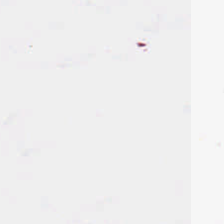H&E stain — Q: Classify this patch.
A: It is empty background.
